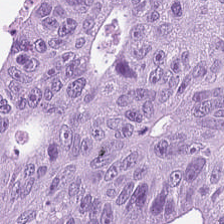Formalin-fixed paraffin-embedded section · hematoxylin and eosin — Tissue class = colorectal adenocarcinoma.
